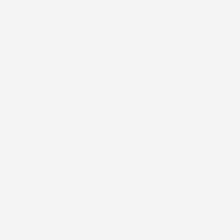Brightfield microscopy; hematoxylin and eosin; 20× equivalent magnification. This field is background (no tissue).
